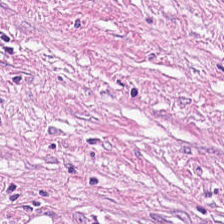0.5 µm per pixel; hematoxylin-and-eosin stained section. Predominantly cancer-associated stroma.
